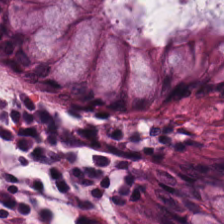Stain: H&E.
Tissue type: benign colonic mucosa.
